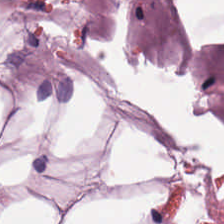Hematoxylin-and-eosin stained section — Q: What does this patch show?
A: This is adipose.
